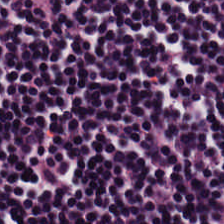Hematoxylin-and-eosin stained section — Q: What is the predominant tissue type?
A: This is lymphoid infiltrate.
